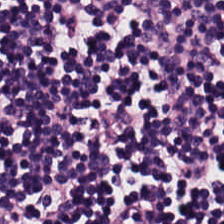Formalin-fixed paraffin-embedded section; H&E. Q: What tissue type is shown here?
A: The field shows lymphocytes.
